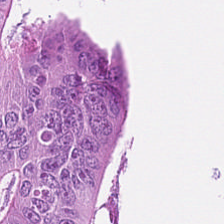Hematoxylin-and-eosin stained section; whole-slide-image patch.
Q: Identify the tissue.
A: Colorectal adenocarcinoma epithelium.
